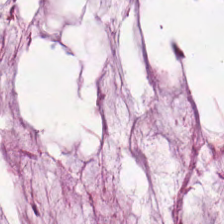Stain: hematoxylin-and-eosin stained section.
Preparation: FFPE tissue section.
Tissue class: mucin.
